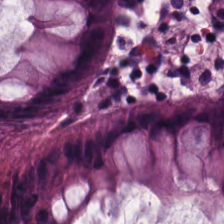H&E · formalin-fixed paraffin-embedded section · 0.5 µm per pixel — Classification: normal colonic mucosa.
